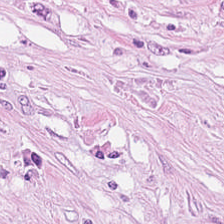224×224 px patch; H&E-stained tissue section; FFPE tissue section. The tissue type is tumor stroma.
